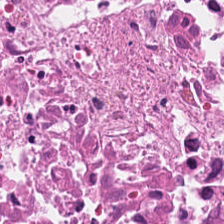Hematoxylin-and-eosin stained section — Impression → necrotic debris.
